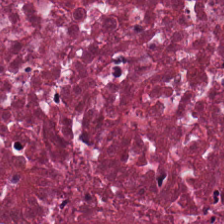H&E stain — This field is cellular debris.
